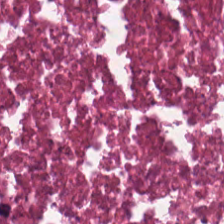Hematoxylin-and-eosin stained section · FFPE tissue section · 0.5 microns per pixel.
This field is necrotic debris.
